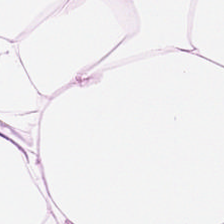H&E.
Tissue type: fat tissue.
